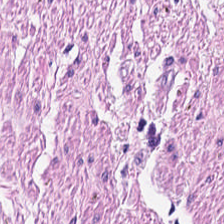H&E-stained tissue section; FFPE; 0.5 µm/px. Histology → smooth muscle.
